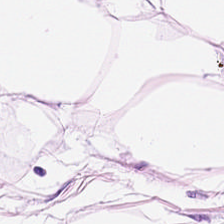Hematoxylin-and-eosin stained section. 20× equivalent magnification. Whole-slide-image patch — Tissue class — adipose tissue.
